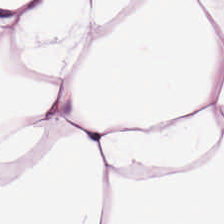H&E-stained tissue section. Predominantly adipose.
